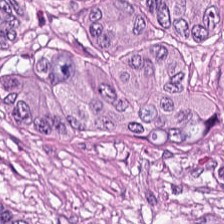H&E stain — Tissue class = adenocarcinoma.
